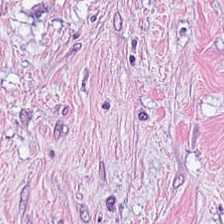WSI patch; H&E. Predominantly cancer-associated stroma.
